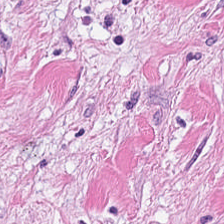The predominant tissue is tumor stroma.
